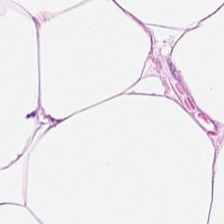{"tissue_type": "adipose"}
